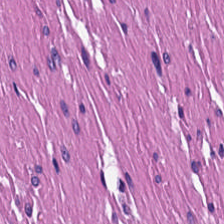Showing smooth-muscle tissue.
